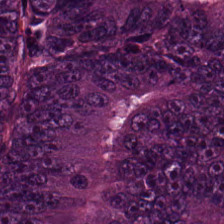H&E. FFPE — Classification — colorectal adenocarcinoma.
